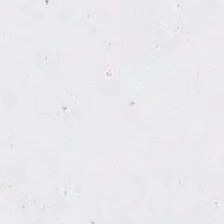{"content": "background (no tissue)"}
